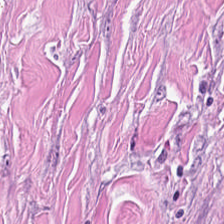Hematoxylin-and-eosin stained section; whole-slide-image patch.
{"tissue_type": "desmoplastic stroma"}
